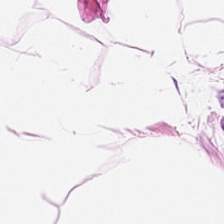Stain: hematoxylin and eosin.
Classification: adipose.
